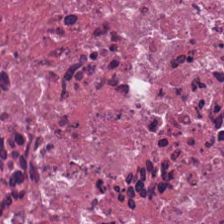Formalin-fixed paraffin-embedded section · hematoxylin-and-eosin stained section · 0.5 microns per pixel — Tissue class: debris.
